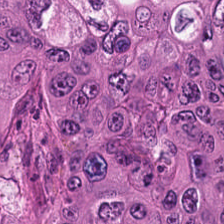H&E stain — Q: Classify this patch.
A: The field shows colorectal adenocarcinoma.
